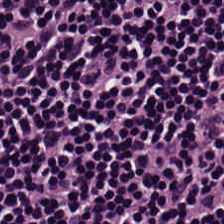Hematoxylin-and-eosin stained section — Q: What does this patch show?
A: It is lymphocytic infiltrate.
